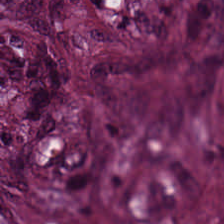This patch shows cancer-associated stroma.
